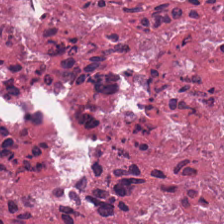Q: What tissue type is shown here?
A: Debris.
